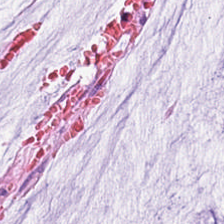Stain: H&E-stained tissue section.
Tile size: 224×224 px patch.
Tissue type: extracellular mucin.
